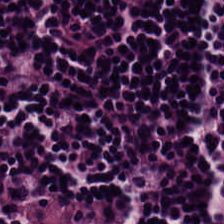H&E-stained tissue section.
This field is lymphoid infiltrate.
